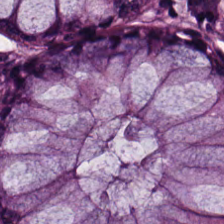Whole-slide-image patch. Hematoxylin-and-eosin stained section — Predominant tissue — benign colonic mucosa.
